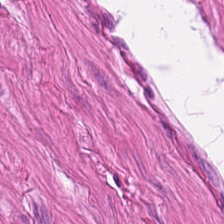H&E-stained tissue section. The tissue type is muscularis.
